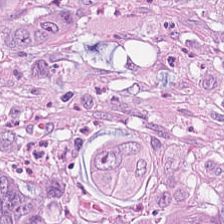Hematoxylin and eosin.
The tissue here is adenocarcinoma.
